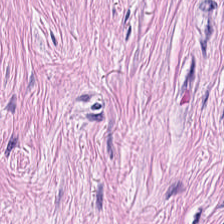H&E-stained tissue section — {"tissue_type": "tumor-associated stroma"}
